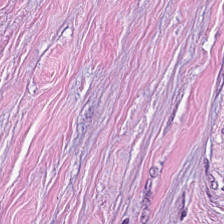Impression → desmoplastic stroma.
